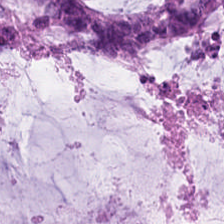Hematoxylin and eosin.
Finding → extracellular mucin.
